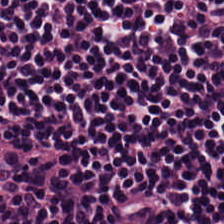Stain: H&E.
Tile size: 224×224 px patch.
Tissue class: lymphocytes.
